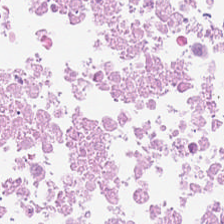Hematoxylin-and-eosin section: necrotic debris.
